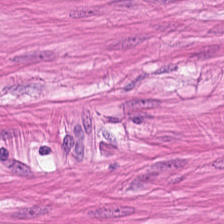H&E-stained tissue section — Q: What tissue is shown?
A: Smooth-muscle tissue.
